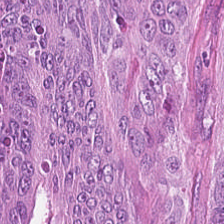FFPE tissue section; hematoxylin-and-eosin stained section.
The predominant tissue is colorectal adenocarcinoma epithelium.
